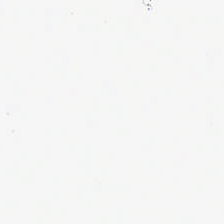Stain: H&E stain.
Content: empty background.
